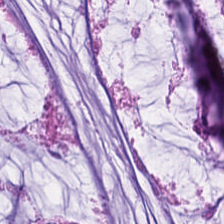H&E-stained tissue section — Predominant tissue: mucus.
